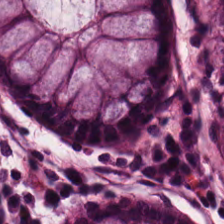H&E-stained tissue section · 224×224 px patch · formalin-fixed paraffin-embedded section. This patch shows non-neoplastic colon mucosa.
